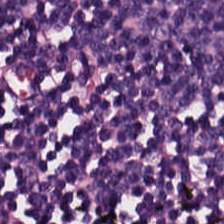0.5 µm/px; hematoxylin and eosin. Tissue type: lymphoid infiltrate.
